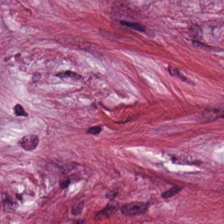224×224 px patch · hematoxylin-and-eosin stained section · 0.5 microns per pixel — The tissue here is cancer-associated stroma.
